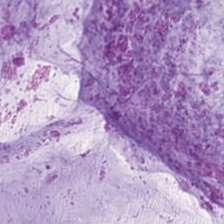Hematoxylin and eosin · FFPE tissue section — {"tissue_type": "mucus"}
